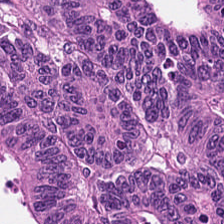FFPE · 0.5 µm per pixel · hematoxylin and eosin — The classification is colorectal adenocarcinoma.
